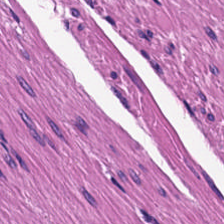Stain: H&E-stained tissue section.
Resolution: 0.5 µm/px.
Classification: smooth muscle.
